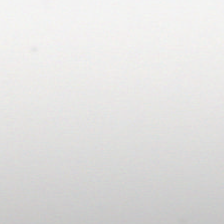H&E-stained tissue section. 0.5 microns per pixel. Brightfield.
Empty field — background.
